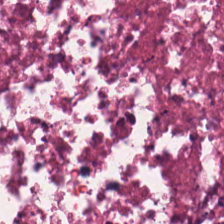Impression → debris.
